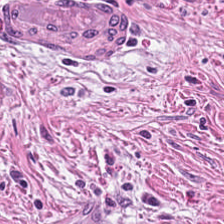FFPE tissue section · H&E. Predominant tissue = tumor stroma.
